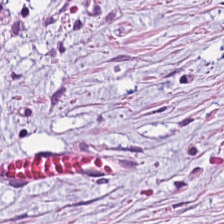Q: What is the predominant tissue type?
A: Tumor stroma.
